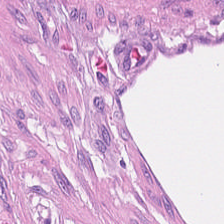Hematoxylin and eosin.
The tissue here is cancer-associated stroma.
